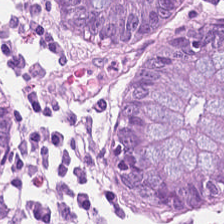H&E stain; 0.5 microns per pixel. Q: What is the predominant tissue type?
A: The field shows normal colon mucosa.
